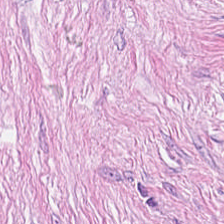Formalin-fixed paraffin-embedded section · H&E — Predominantly tumor-associated stroma.
